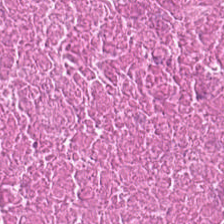Stain: hematoxylin and eosin.
Resolution: 0.5 µm per pixel.
Acquisition: whole-slide-image patch.
Classification: debris.
